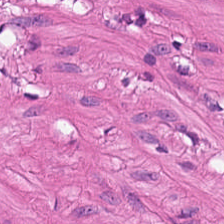H&E-stained tissue section.
Q: What tissue is shown?
A: This is smooth-muscle tissue.
